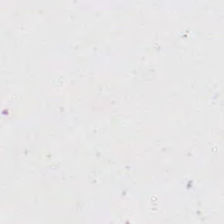Stain: H&E.
Classification: background (no tissue).
